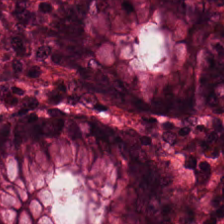Hematoxylin and eosin; 224×224 pixel tile — {"tissue_type": "non-neoplastic colon mucosa"}
